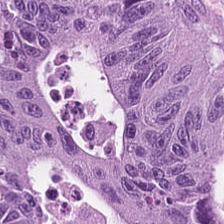Hematoxylin and eosin.
{"tissue_type": "colorectal adenocarcinoma"}
